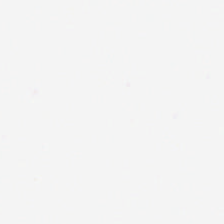Histology — no tissue.
